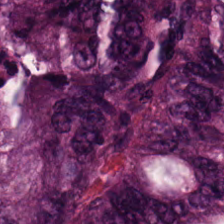H&E-stained tissue section. The predominant tissue is colorectal adenocarcinoma.
